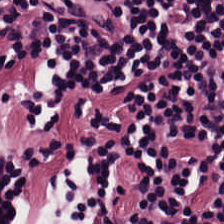H&E stain — Tissue = lymphocyte aggregate.
